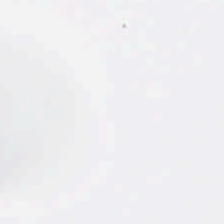H&E.
This patch shows background (no tissue).
